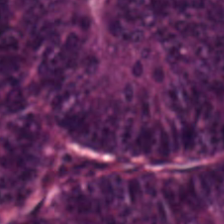Impression — adenocarcinoma.
